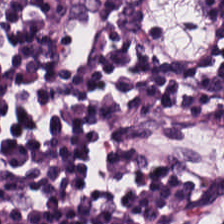Hematoxylin-and-eosin stained section — Predominant tissue: lymphocytic infiltrate.
